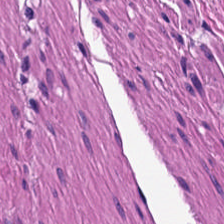20× equivalent magnification. Whole-slide-image patch. H&E.
{"tissue_type": "smooth muscle"}
